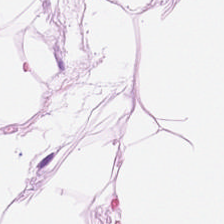Adipose.
